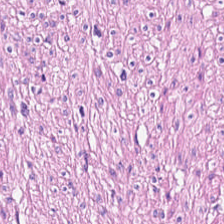H&E. Q: What is shown here?
A: The field shows muscularis.
